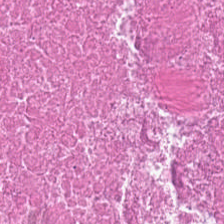H&E; 224×224 pixel tile; FFPE. Finding → necrotic debris.
